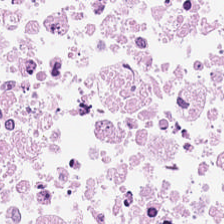Brightfield microscopy. H&E — Q: What is shown in this field?
A: The field shows necrotic debris.
